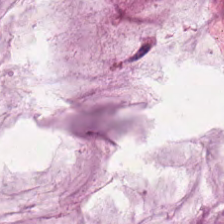0.5 microns per pixel · formalin-fixed paraffin-embedded section · hematoxylin-and-eosin stained section. Tissue type = mucin.
